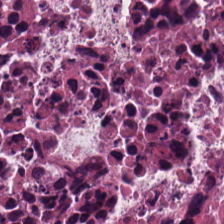0.5 µm/px; brightfield microscopy; H&E. Predominantly debris.
